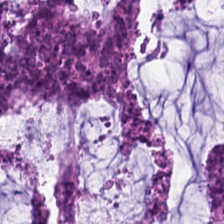H&E; FFPE — Extracellular mucin.
